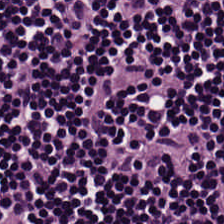H&E-stained section; the field shows lymphoid infiltrate.
